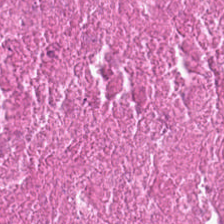Tissue: debris.
